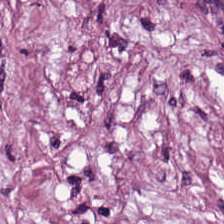Impression → tumor-associated stroma.
